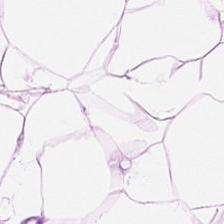Hematoxylin and eosin; WSI patch; FFPE tissue section — The tissue here is adipose.
